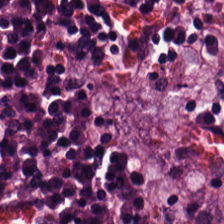Stain: H&E stain.
Resolution: 20× equivalent magnification.
Acquisition: brightfield.
Tissue class: adenocarcinoma.
